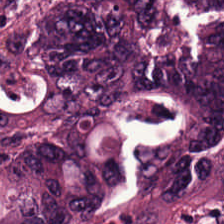{"tissue_type": "adenocarcinoma"}
